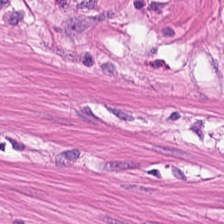H&E-stained tissue section.
Q: What does this patch show?
A: Smooth muscle.
